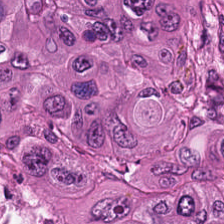FFPE. H&E stain. {"tissue_type": "adenocarcinoma"}
